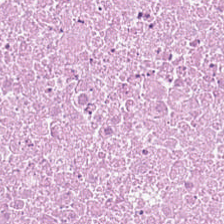H&E. 224×224 pixel tile. The tissue here is debris.
